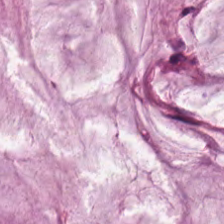H&E-stained tissue section.
This field is mucus.
